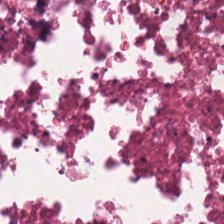The tissue is cellular debris.
